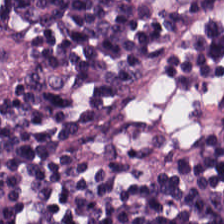The tissue is lymphocytic infiltrate.
